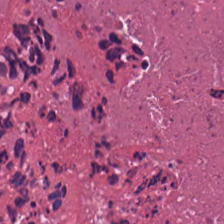WSI patch · H&E · formalin-fixed paraffin-embedded section.
Predominant tissue — debris.
